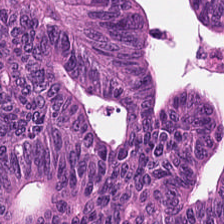Classification — colorectal adenocarcinoma epithelium.
